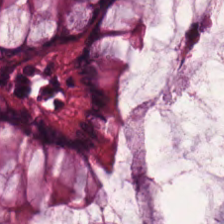Predominant tissue: normal colonic mucosa.
